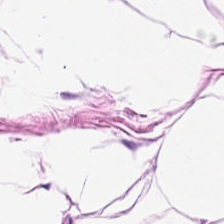20× equivalent magnification. WSI patch. H&E-stained tissue section. This field is adipocytes.
